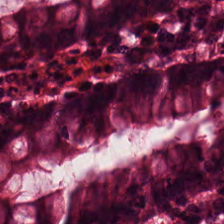Hematoxylin-and-eosin stained section · formalin-fixed paraffin-embedded section — This patch shows normal colon mucosa.
